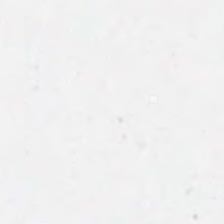FFPE tissue section; H&E; brightfield microscopy. Q: What is shown here?
A: It is background.
